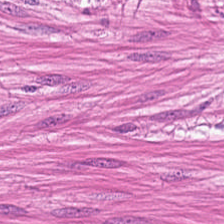Hematoxylin and eosin; 0.5 µm per pixel. {"tissue_type": "muscularis"}
